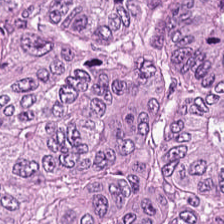Hematoxylin-and-eosin stained section. 0.5 µm per pixel. Predominant tissue — adenocarcinoma.
